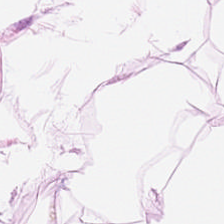Classification: fat tissue.
